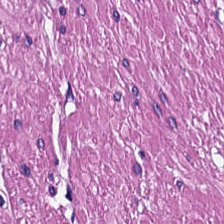H&E — This field is smooth-muscle tissue.
